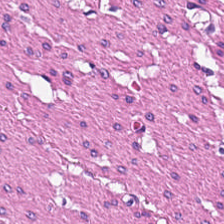Stain: H&E-stained tissue section.
Resolution: 0.5 µm per pixel.
Preparation: formalin-fixed paraffin-embedded section.
Tissue: muscularis.
